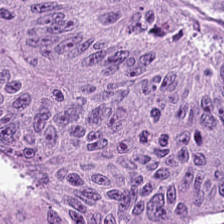20× equivalent magnification; H&E — The predominant tissue is tumor epithelium.
